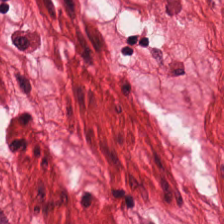Whole-slide-image patch; H&E stain — Q: What does this patch show?
A: Smooth-muscle tissue.
